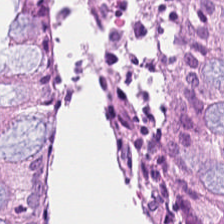The tissue is non-neoplastic colon mucosa.
